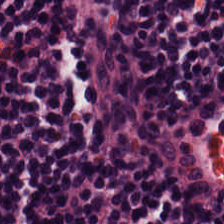Hematoxylin and eosin. Q: What is shown in this field?
A: This is lymphocyte aggregate.
